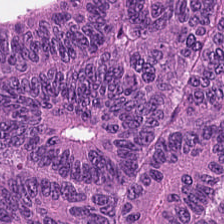H&E. 224×224 px tile. Brightfield — This field is tumor epithelium.
